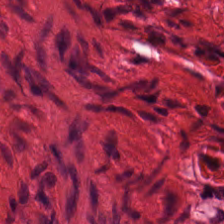H&E stain; brightfield microscopy; FFPE — Smooth muscle.
